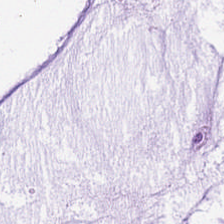H&E — extracellular mucin.
